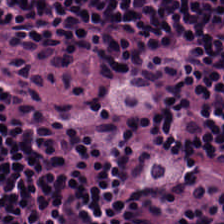Whole-slide-image patch. 0.5 µm/px. H&E stain.
Q: What is the predominant tissue type?
A: It is lymphoid infiltrate.
